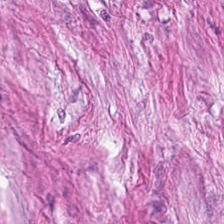Q: What tissue type is shown here?
A: This is desmoplastic stroma.
